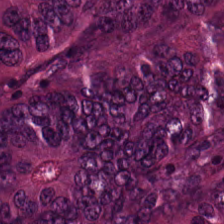{"tissue_type": "colorectal adenocarcinoma"}
